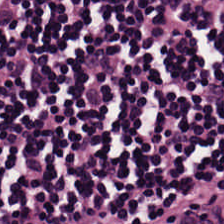H&E.
This field is lymphocytic infiltrate.
